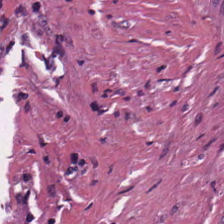Hematoxylin-and-eosin stained section; WSI patch.
The tissue class is cellular debris.
